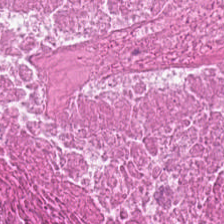Hematoxylin-and-eosin stained section.
The tissue here is necrotic debris.
